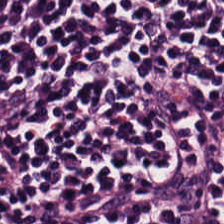Stain: H&E stain.
Tissue: lymphocytic infiltrate.
